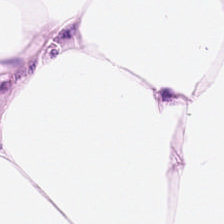0.5 microns per pixel · hematoxylin and eosin — Predominant tissue = adipocytes.
